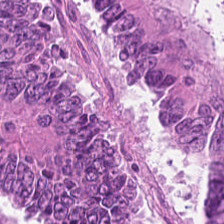Q: What is shown in this field?
A: This is adenocarcinoma.
